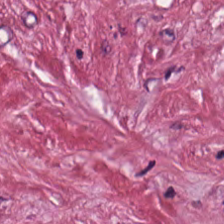224×224 px patch. H&E.
The tissue here is tumor-associated stroma.
